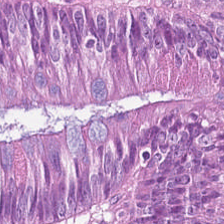Hematoxylin and eosin · 20× equivalent magnification.
Q: What is shown here?
A: It is malignant epithelium.
